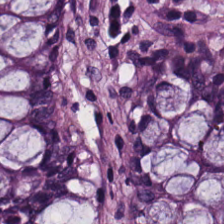H&E stain.
Predominantly benign colonic mucosa.
